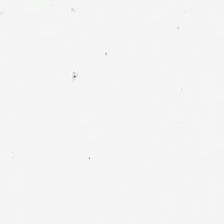Formalin-fixed paraffin-embedded section. H&E-stained tissue section — This field is background (no tissue).
